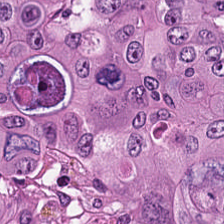H&E · formalin-fixed paraffin-embedded section.
Q: What does this patch show?
A: The field shows tumor epithelium.
